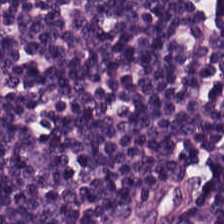H&E stain — Q: What tissue is shown?
A: It is lymphoid infiltrate.
